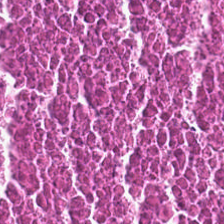H&E stain · 20× equivalent magnification · 224×224 px patch.
Impression → debris.
